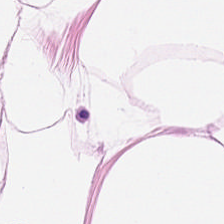Brightfield microscopy · hematoxylin-and-eosin stained section.
Q: What is the predominant tissue type?
A: The field shows adipose tissue.
